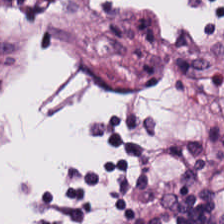Predominantly lymphocytic infiltrate.
